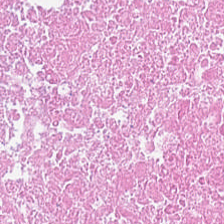H&E stain · FFPE · 224×224 px patch — Q: Classify this patch.
A: The field shows debris.
